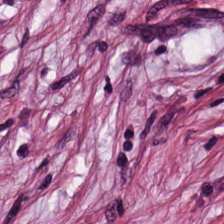Predominant tissue — tumor stroma.
